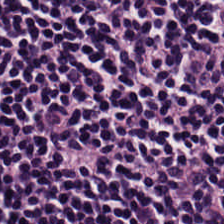H&E stain · 0.5 microns per pixel. The tissue here is lymphocyte aggregate.
